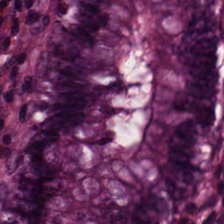Hematoxylin-and-eosin stained section. Q: What tissue type is shown here?
A: It is benign colonic mucosa.
